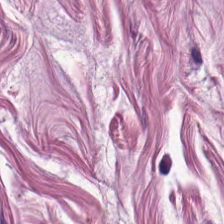Stain: H&E-stained tissue section.
Tissue: muscularis.
